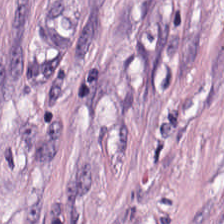H&E — Q: What type of tissue is this?
A: Desmoplastic stroma.
